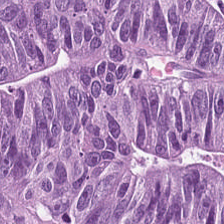224×224 pixel tile; H&E stain.
Histology — malignant epithelium.
